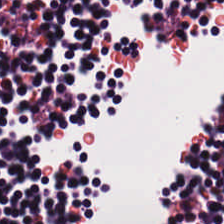Hematoxylin and eosin. FFPE tissue section. This field is lymphocyte aggregate.
